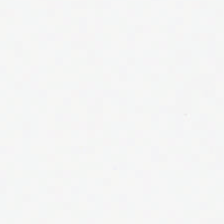Histology → background (no tissue).
